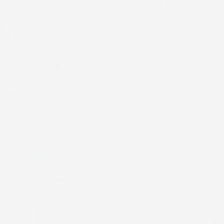This field is background (no tissue).
